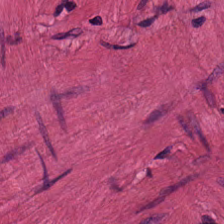Hematoxylin-and-eosin stained section.
Q: What tissue type is shown here?
A: Muscularis.
